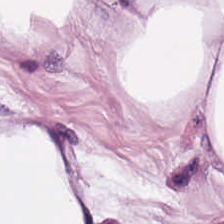H&E stain · FFPE · 0.5 microns per pixel — Finding — fat tissue.
